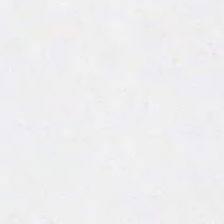Background — no tissue in this field.
